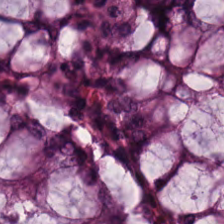Hematoxylin-and-eosin stained section · formalin-fixed paraffin-embedded section — Tissue = normal colon mucosa.
